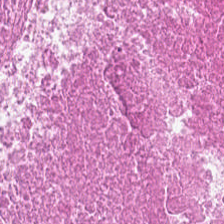H&E — cellular debris.
